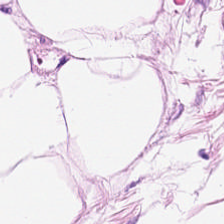Stain: hematoxylin-and-eosin stained section.
Tissue class: adipocytes.
